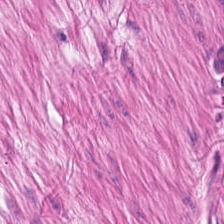0.5 microns per pixel. H&E-stained tissue section.
Q: What type of tissue is this?
A: It is muscularis.
